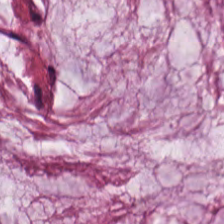Hematoxylin-and-eosin stained section. Brightfield microscopy. Q: What tissue is shown?
A: Extracellular mucin.
